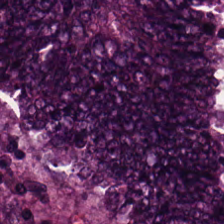H&E — Predominant tissue = adenocarcinoma.
